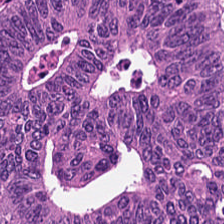Finding → colorectal adenocarcinoma epithelium.
